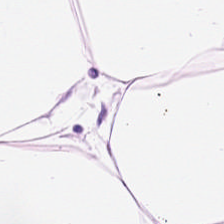H&E stain. 224×224 px tile. 20× equivalent magnification. This field is adipocytes.
